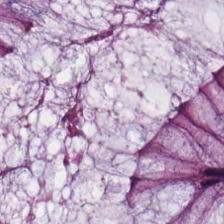Hematoxylin-and-eosin stained section.
Classification — normal colonic mucosa.
